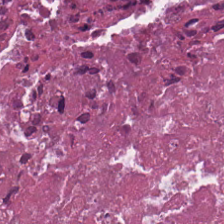Stain: H&E stain.
Tissue type: cellular debris.
